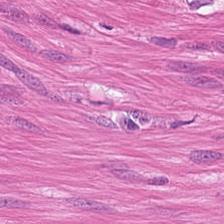H&E · FFPE — Showing smooth-muscle tissue.
